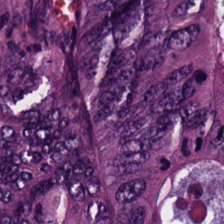This patch shows adenocarcinoma.
